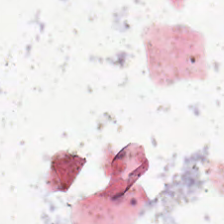H&E stain.
Content: no tissue.
